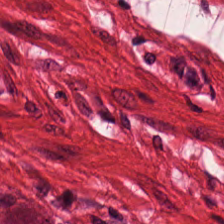Q: What does this patch show?
A: It is muscularis.
